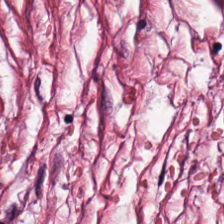Hematoxylin-and-eosin stained section — Finding → tumor-associated stroma.
